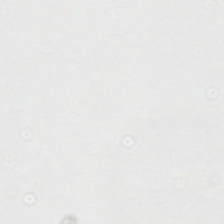224×224 px tile; H&E-stained tissue section; 0.5 microns per pixel — This field is background (no tissue).
